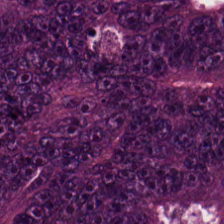0.5 µm per pixel · H&E stain · FFPE tissue section — Tissue — adenocarcinoma.
